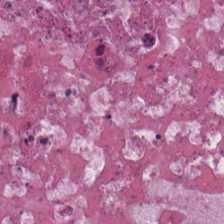Classification — necrotic debris.
